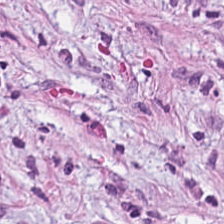Hematoxylin and eosin.
The tissue is tumor stroma.
